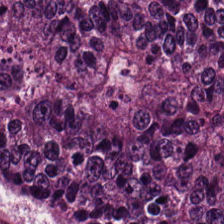Stain: H&E stain.
Resolution: 0.5 µm per pixel.
Tissue type: colorectal adenocarcinoma.
